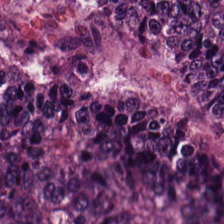H&E stain. This patch shows colorectal adenocarcinoma epithelium.
